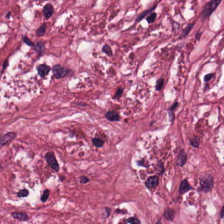H&E. Formalin-fixed paraffin-embedded section — Histology → tumor-associated stroma.
